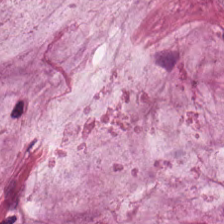FFPE tissue section · H&E. The tissue here is mucus.
